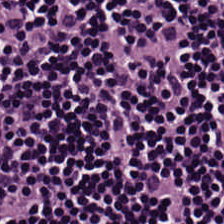0.5 microns per pixel · H&E.
Q: Classify this patch.
A: Lymphoid infiltrate.
